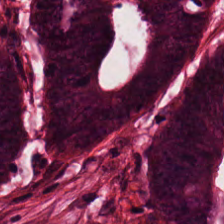Hematoxylin and eosin · whole-slide-image patch · 224×224 px tile. The tissue here is colorectal adenocarcinoma.
